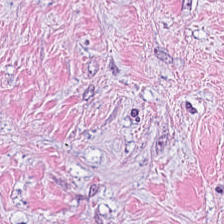H&E stain.
Histology → tumor-associated stroma.
